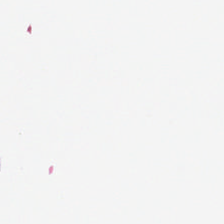Stain: H&E stain.
Tile size: 224×224 px patch.
Preparation: formalin-fixed paraffin-embedded section.
Content: background (no tissue).
